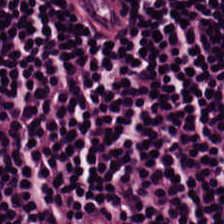Hematoxylin and eosin. FFPE tissue section. This field is lymphoid infiltrate.
